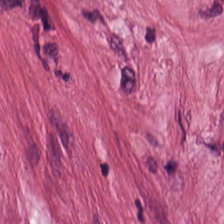Stain: hematoxylin-and-eosin stained section.
Preparation: FFPE.
Tile size: 224×224 px tile.
Classification: desmoplastic stroma.
